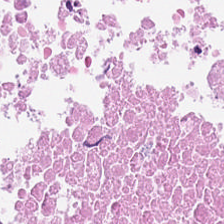H&E stain — {"tissue_type": "necrotic debris"}
